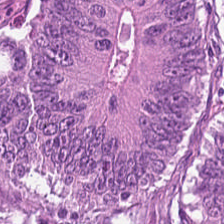Hematoxylin-and-eosin stained section. Predominant tissue = malignant epithelium.
